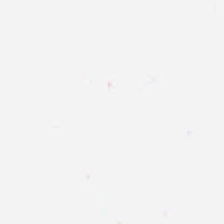Hematoxylin-and-eosin stained section; 224×224 pixel tile.
No tissue.
